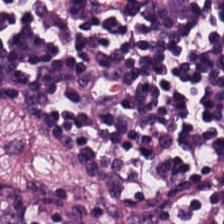Showing lymphocyte aggregate.
